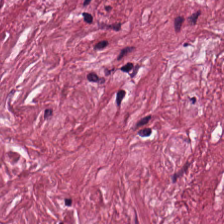0.5 µm per pixel. Hematoxylin-and-eosin stained section. 224×224 px patch — This field is tumor-associated stroma.
